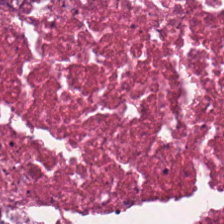Hematoxylin and eosin · FFPE tissue section. Q: Identify the tissue.
A: Debris.
